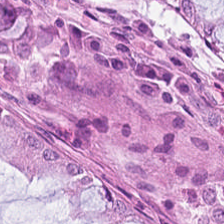Showing normal colon mucosa.
